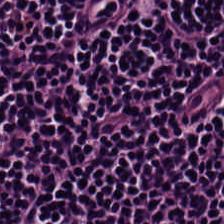224×224 pixel tile; hematoxylin and eosin; whole-slide-image patch — Q: What tissue is shown?
A: The field shows lymphoid infiltrate.
